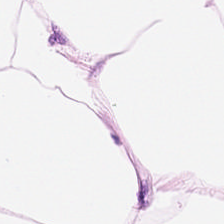Tissue = adipose.
